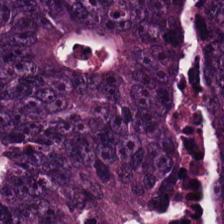Stain: H&E.
Acquisition: brightfield microscopy.
Predominant tissue: colorectal adenocarcinoma epithelium.
